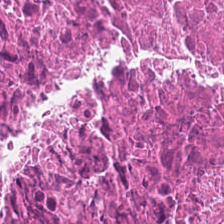Classification = cellular debris.
